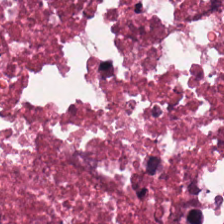Hematoxylin-and-eosin stained section.
Q: What does this patch show?
A: This is necrotic debris.
